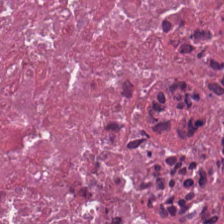Stain: H&E stain.
Resolution: 0.5 µm per pixel.
Tissue type: debris.
